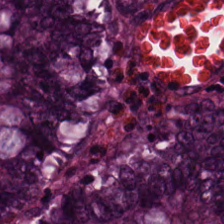H&E-stained tissue section · FFPE tissue section. {"tissue_type": "non-neoplastic colon mucosa"}
